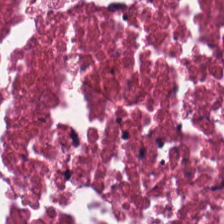Hematoxylin and eosin.
Tissue type: necrotic debris.
